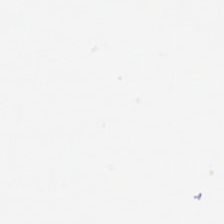H&E.
Content = background.
